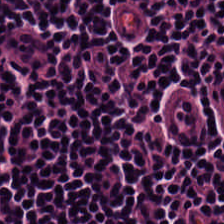H&E stain — The predominant tissue is lymphocytic infiltrate.
